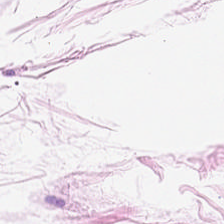Formalin-fixed paraffin-embedded section. Hematoxylin-and-eosin stained section. Brightfield.
The tissue here is adipose.
